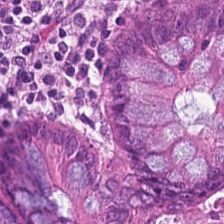H&E-stained section; the field shows normal colonic mucosa.
